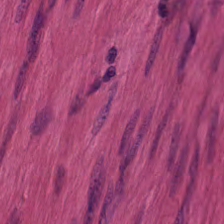224×224 pixel tile · H&E stain. Tissue class: smooth muscle.
